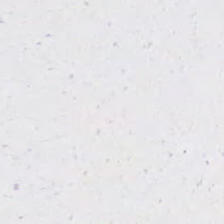H&E. Background.
